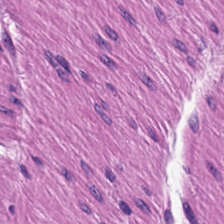H&E-stained tissue section. Classification — muscularis.
